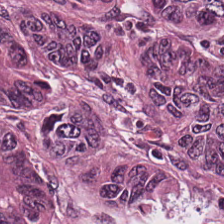H&E stain · formalin-fixed paraffin-embedded section. The tissue here is tumor epithelium.
